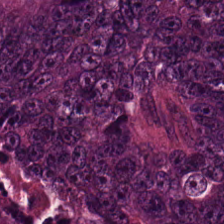0.5 microns per pixel · H&E-stained tissue section. Colorectal adenocarcinoma.
